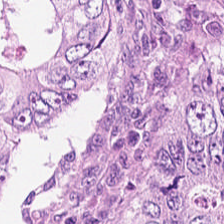H&E-stained tissue section.
This field is colorectal adenocarcinoma epithelium.
